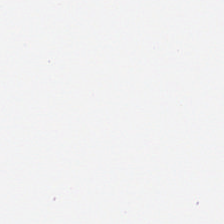H&E stain.
The content is background (no tissue).
